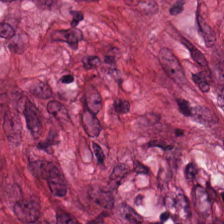H&E.
Tissue type = tumor-associated stroma.
